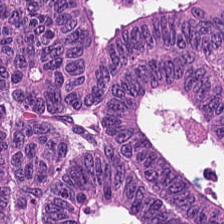H&E stain — Classification: colorectal adenocarcinoma.
